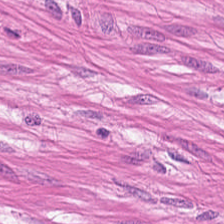224×224 px tile · H&E-stained tissue section.
Predominantly smooth-muscle tissue.
